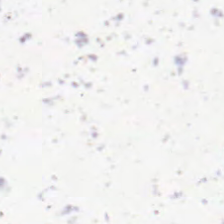Field content: background (no tissue).
